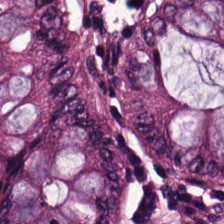WSI patch · 0.5 µm/px · hematoxylin-and-eosin stained section. This patch shows normal colon mucosa.
